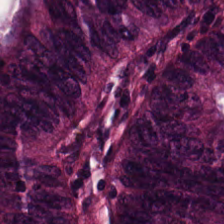H&E-stained tissue section showing adenocarcinoma.
